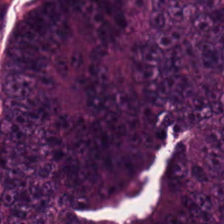H&E.
Tissue — adenocarcinoma.
